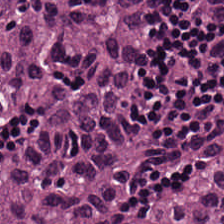Q: What type of tissue is this?
A: It is adenocarcinoma.
